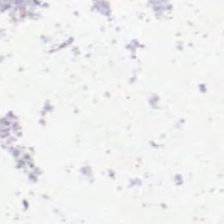20× equivalent magnification; H&E; 224×224 pixel tile — No tissue present; background only.
